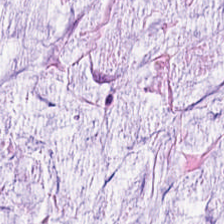Stain: H&E.
Predominant tissue: mucin.
